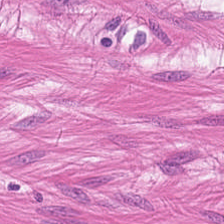Stain: hematoxylin-and-eosin stained section.
Acquisition: whole-slide-image patch.
Tissue type: smooth-muscle tissue.
